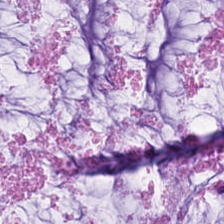Stain: hematoxylin-and-eosin stained section.
Classification: extracellular mucin.
